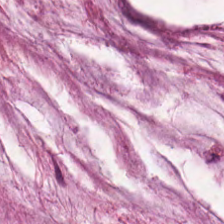Hematoxylin-and-eosin stained section. Tissue type — mucin.
